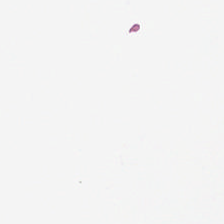FFPE tissue section · H&E-stained tissue section.
Empty background.
